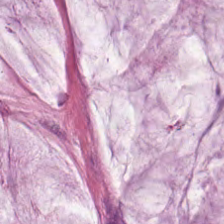H&E stain.
Showing extracellular mucin.
